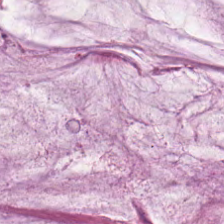H&E-stained tissue section.
The tissue here is extracellular mucin.
